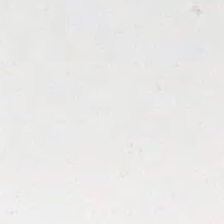224×224 px tile. H&E stain. No tissue present; background only.
